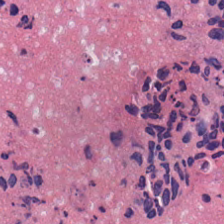H&E. Q: What tissue is shown?
A: It is necrotic debris.
